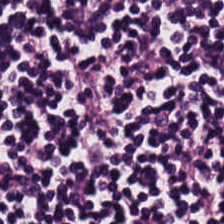Histology — lymphoid infiltrate.
